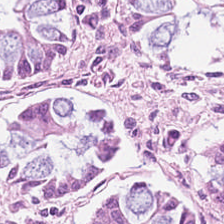Hematoxylin and eosin.
Q: Classify this patch.
A: This is non-neoplastic colon mucosa.
